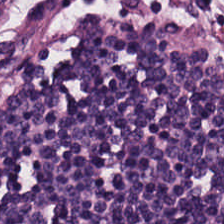{"tissue_type": "lymphocytic infiltrate"}
